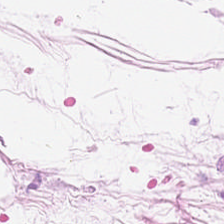Stain: hematoxylin-and-eosin stained section.
Predominant tissue: adipose tissue.
